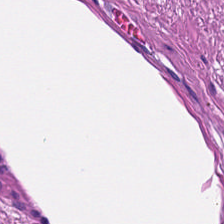Hematoxylin and eosin.
Q: What type of tissue is this?
A: This is smooth-muscle tissue.
